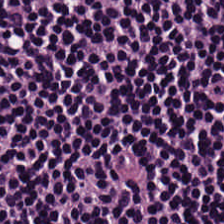H&E.
Q: Identify the tissue.
A: This is lymphoid infiltrate.
